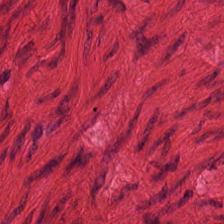224×224 pixel tile. FFPE. Hematoxylin and eosin. Histology → smooth-muscle tissue.
